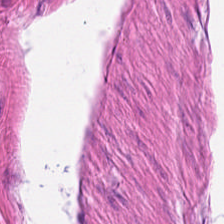H&E stain. Q: What is shown in this field?
A: It is muscularis.
